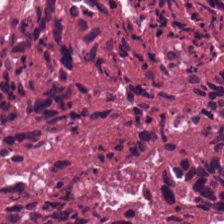FFPE. H&E stain — Q: Identify the tissue.
A: The field shows necrotic debris.
